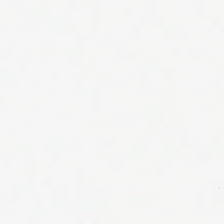Hematoxylin-and-eosin stained section — This patch shows empty background.
